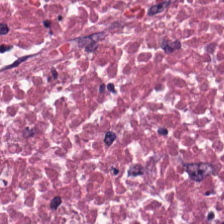H&E-stained tissue section.
{"tissue_type": "necrotic debris"}
